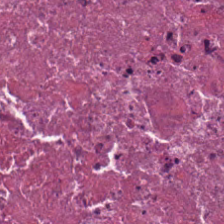Hematoxylin-and-eosin stained section.
Cellular debris.
